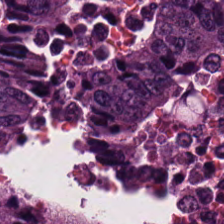FFPE tissue section. 224×224 pixel tile. H&E. Q: What is shown in this field?
A: Colorectal adenocarcinoma.
